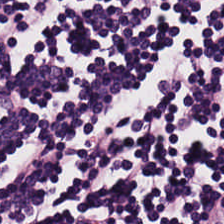Hematoxylin-and-eosin stained section. Tissue type: lymphocytes.
